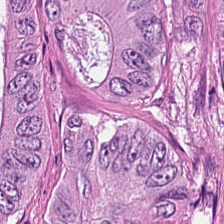H&E patch showing colorectal adenocarcinoma.
